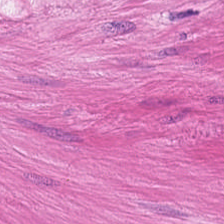H&E. The tissue here is smooth muscle.
